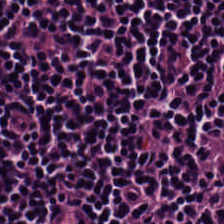0.5 µm per pixel · H&E stain.
Q: What is the predominant tissue type?
A: The field shows lymphocytic infiltrate.
